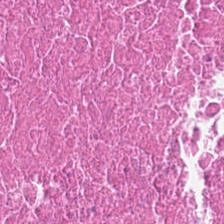Predominantly necrotic debris.
